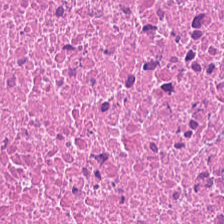H&E stain — Cellular debris.
